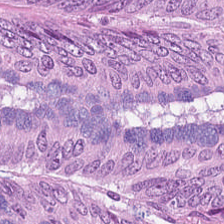H&E stain. The tissue here is malignant epithelium.
